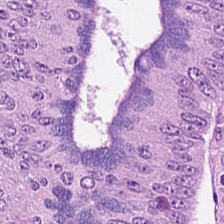0.5 microns per pixel; H&E. This patch shows tumor epithelium.
